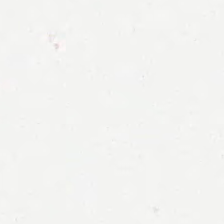Brightfield microscopy; hematoxylin-and-eosin stained section; 20× equivalent magnification. This field is background (no tissue).
